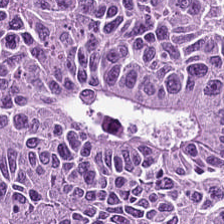Stain: hematoxylin and eosin.
Predominant tissue: malignant epithelium.
